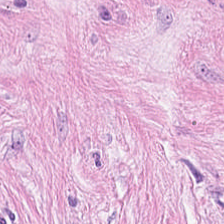0.5 microns per pixel; hematoxylin-and-eosin stained section; 224×224 px tile. Tumor-associated stroma.
